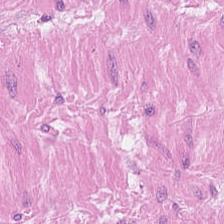Classification — smooth muscle.
